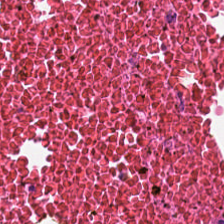Finding → necrotic debris.
